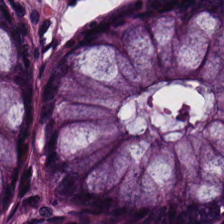Whole-slide-image patch; hematoxylin and eosin — Non-neoplastic colon mucosa.
